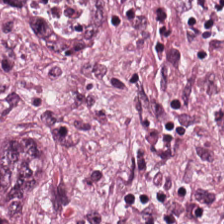Brightfield; H&E stain. {"tissue_type": "colorectal adenocarcinoma epithelium"}
